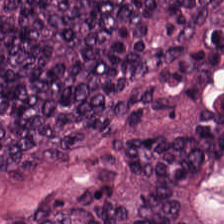Formalin-fixed paraffin-embedded section. H&E stain.
The tissue here is tumor epithelium.
